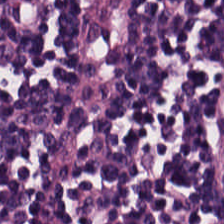Hematoxylin-and-eosin stained section · 0.5 µm per pixel.
Q: What type of tissue is this?
A: The field shows lymphocyte aggregate.
